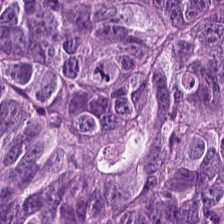Showing colorectal adenocarcinoma epithelium.
